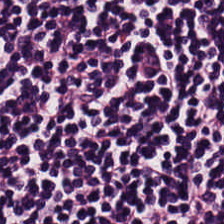H&E. Tissue class = lymphocytes.
